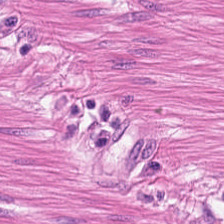Q: What is shown here?
A: It is smooth-muscle tissue.
